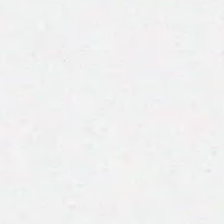Hematoxylin-and-eosin stained section. 20× equivalent magnification. Content = empty background.
